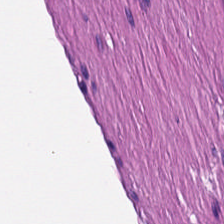The tissue type is smooth-muscle tissue.
